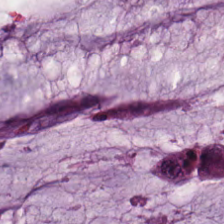H&E stain. Mucin.
